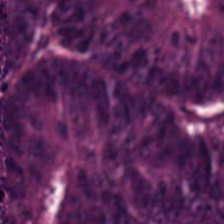H&E stain. This field is colorectal adenocarcinoma.
